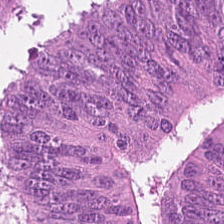FFPE · hematoxylin-and-eosin stained section — Tumor epithelium.
